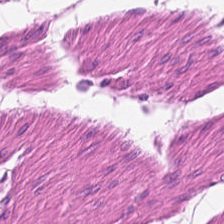H&E — muscularis.
